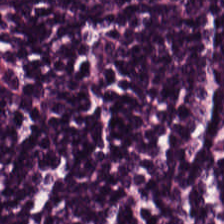Stain: hematoxylin and eosin.
Tissue: lymphocyte aggregate.
